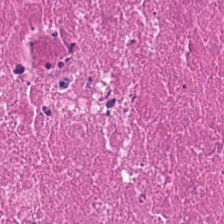Hematoxylin and eosin — This patch shows debris.
